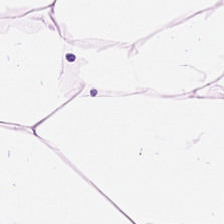H&E stain.
The tissue is adipose tissue.
